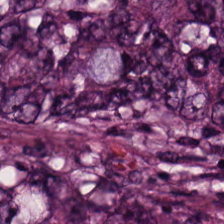Whole-slide-image patch. H&E stain.
The tissue here is malignant epithelium.
